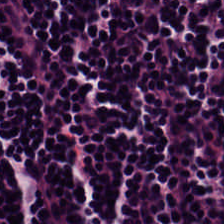Stain: H&E.
Preparation: FFPE.
Tile size: 224×224 pixel tile.
Classification: lymphoid infiltrate.
